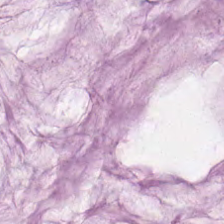H&E-stained tissue section.
The tissue here is mucus.
